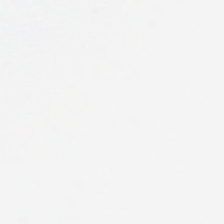H&E stain — This field is background (no tissue).
